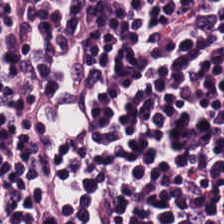H&E — Predominantly lymphocytes.
